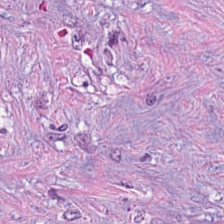The tissue here is desmoplastic stroma.
